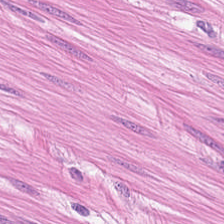H&E stain. Smooth-muscle tissue.
